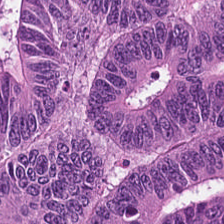H&E · 224×224 px patch — The tissue type is tumor epithelium.
